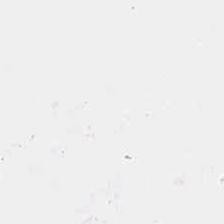This field is background (no tissue).
